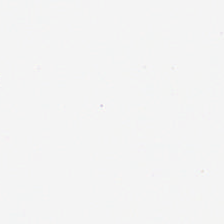Hematoxylin and eosin. 0.5 microns per pixel. Q: What is shown in this field?
A: The field shows background (no tissue).
